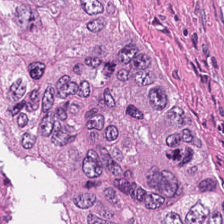Brightfield; H&E-stained tissue section.
Tissue type — debris.
